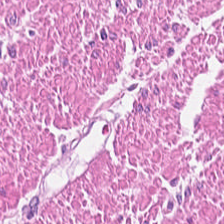0.5 microns per pixel · H&E stain.
The tissue here is smooth muscle.
